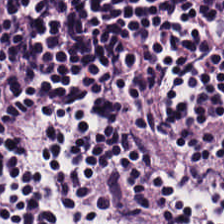Tissue = lymphocyte aggregate.
